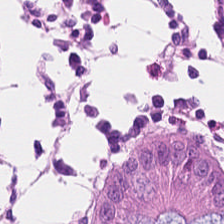FFPE · hematoxylin and eosin — Classification = non-neoplastic colon mucosa.
